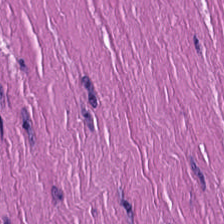Brightfield microscopy · hematoxylin and eosin · 224×224 pixel tile — Tissue type — smooth-muscle tissue.
